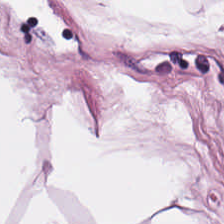Hematoxylin and eosin.
Showing adipose tissue.
